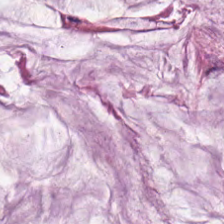Hematoxylin and eosin · FFPE.
The predominant tissue is extracellular mucin.
